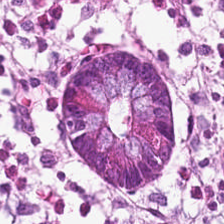H&E-stained tissue section; FFPE tissue section — Classification: normal colonic mucosa.
